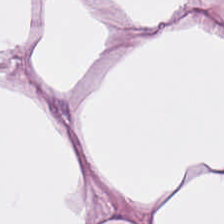H&E-stained tissue section. 224×224 px patch. Whole-slide-image patch. The predominant tissue is adipocytes.
